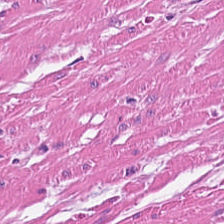Predominantly smooth-muscle tissue.
